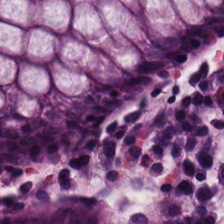H&E-stained tissue section — Tissue type: normal colonic mucosa.
